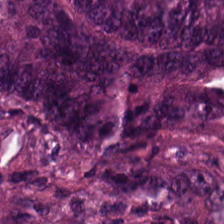Stain: H&E.
Tissue: malignant epithelium.
